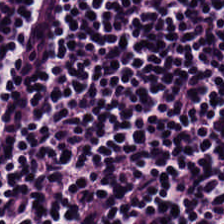Hematoxylin-and-eosin stained section.
{"tissue_type": "lymphoid infiltrate"}
